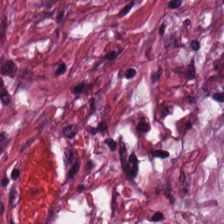Stain: H&E-stained tissue section.
Classification: cancer-associated stroma.
